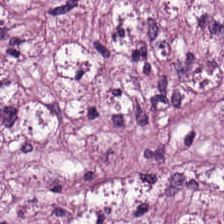FFPE tissue section. 224×224 px patch. H&E stain. Predominant tissue — cancer-associated stroma.
